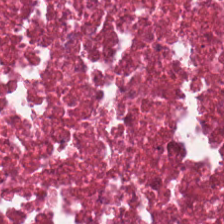Classification = cellular debris.
